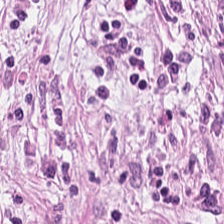H&E-stained tissue section · FFPE tissue section.
Tumor stroma.
